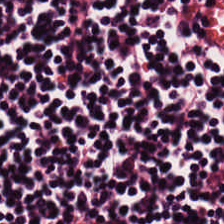H&E.
Predominant tissue — lymphocyte aggregate.
